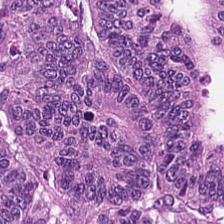Classification = tumor epithelium.
